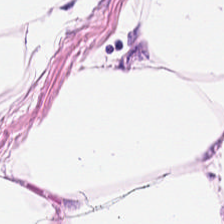224×224 px patch; whole-slide-image patch; H&E stain. Tissue type = adipocytes.
